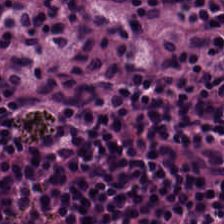Showing lymphocytes.
